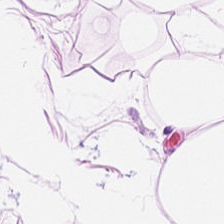Classification = adipocytes.
